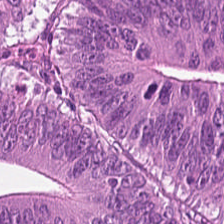Hematoxylin-and-eosin stained section. Q: What is shown in this field?
A: Adenocarcinoma.
